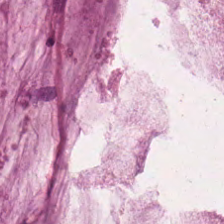The tissue is mucus.
